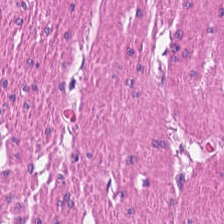Hematoxylin-and-eosin stained section. The predominant tissue is smooth muscle.
